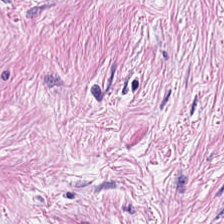This field is tumor stroma.
